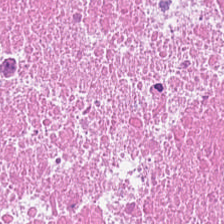H&E stain. 0.5 microns per pixel — Q: What is shown here?
A: It is cellular debris.
